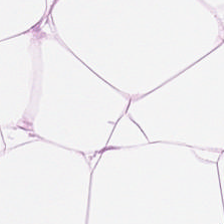Q: Classify this patch.
A: The field shows fat tissue.
